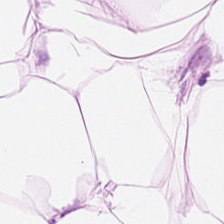224×224 pixel tile · H&E stain — The tissue here is adipose.
